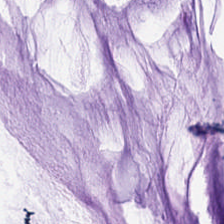Hematoxylin-and-eosin stained section.
The tissue class is mucus.
